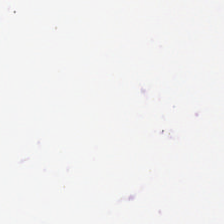H&E · 0.5 µm per pixel.
No tissue present; background only.
